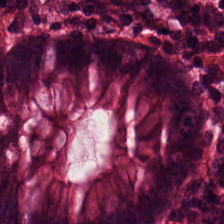Q: Classify this patch.
A: The field shows normal colon mucosa.
